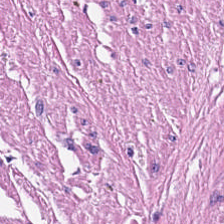Tissue — smooth-muscle tissue.
